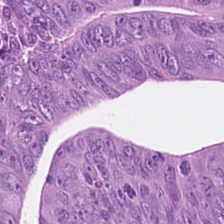H&E. Histology → tumor epithelium.
